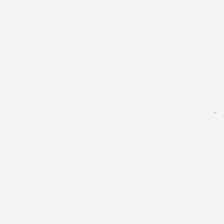Finding → background.
